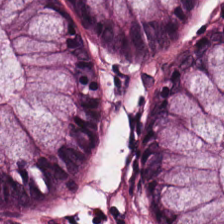Formalin-fixed paraffin-embedded section. H&E.
This patch shows normal colon mucosa.
